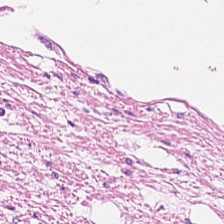Q: What is shown here?
A: The field shows muscularis.
